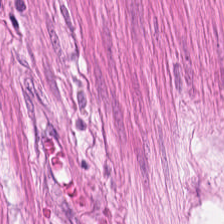H&E-stained tissue section. 0.5 microns per pixel.
{"tissue_type": "smooth-muscle tissue"}
